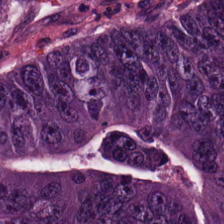H&E — colorectal adenocarcinoma.
